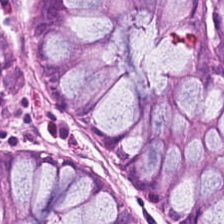Q: What type of tissue is this?
A: It is normal colon mucosa.
